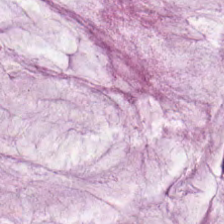0.5 µm per pixel; H&E stain.
This patch shows extracellular mucin.
